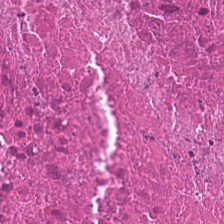H&E. Histology → debris.
